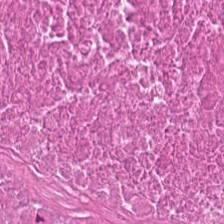Brightfield · H&E stain.
This patch shows debris.
